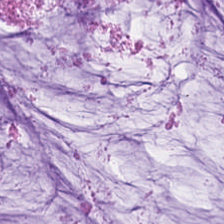H&E stain; 224×224 px tile. Q: What is shown in this field?
A: This is mucus.
